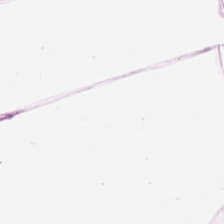Stain: H&E stain.
Acquisition: WSI patch.
Resolution: 20× equivalent magnification.
Predominant tissue: fat tissue.
